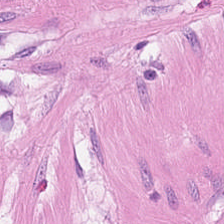Stain: hematoxylin and eosin.
Tissue: smooth muscle.
